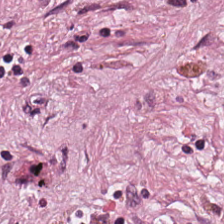H&E. {"tissue_type": "tumor-associated stroma"}
